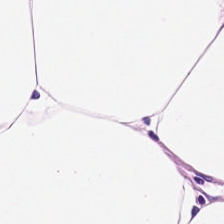Histology → adipose.
